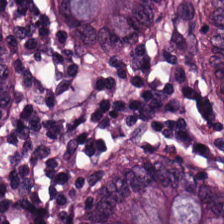Hematoxylin and eosin. 224×224 px tile. Q: What tissue type is shown here?
A: Non-neoplastic colon mucosa.
